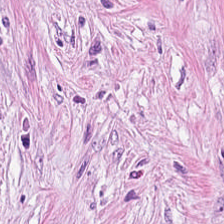224×224 px tile. H&E-stained tissue section — Finding → cancer-associated stroma.
